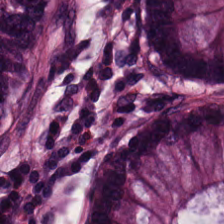Stain: H&E-stained tissue section.
Tissue class: benign colonic mucosa.
